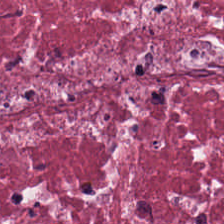Q: What is the predominant tissue type?
A: The field shows desmoplastic stroma.
